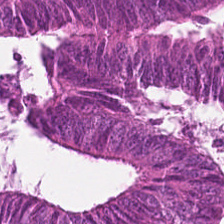Hematoxylin-and-eosin stained section. The predominant tissue is colorectal adenocarcinoma.
